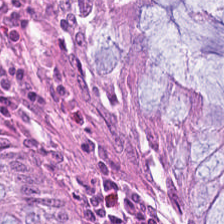224×224 px patch. H&E-stained tissue section — Tissue type — benign colonic mucosa.
